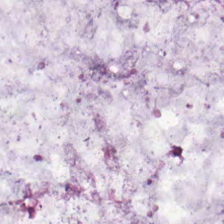Hematoxylin and eosin; 0.5 µm per pixel. Predominantly mucin.
